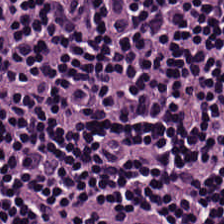H&E. Showing lymphocytic infiltrate.
